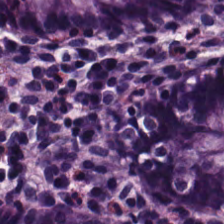Hematoxylin and eosin — {"tissue_type": "benign colonic mucosa"}
